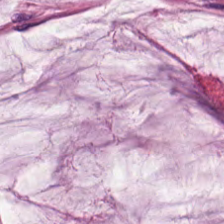0.5 microns per pixel. 224×224 pixel tile. Hematoxylin-and-eosin stained section — This patch shows extracellular mucin.
